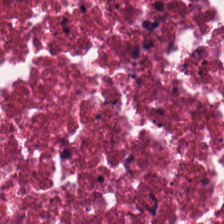The predominant tissue is cellular debris.
